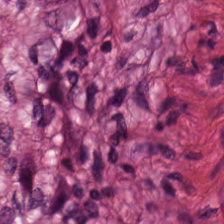The tissue here is smooth muscle.
